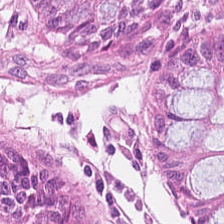Hematoxylin and eosin.
The tissue here is benign colonic mucosa.
